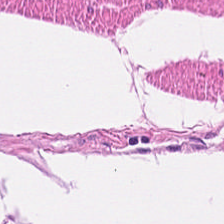Tissue = smooth muscle.
